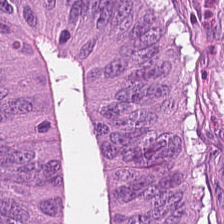H&E stain — The predominant tissue is tumor epithelium.
